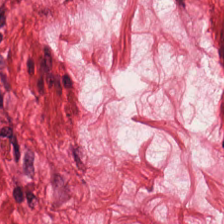Hematoxylin-and-eosin stained section; 224×224 px patch.
Predominantly smooth muscle.
